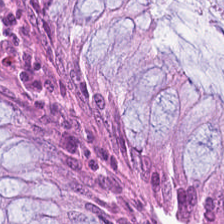H&E stain — Showing normal colonic mucosa.
